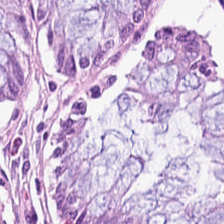20× equivalent magnification. Brightfield microscopy. H&E — Classification — normal colon mucosa.
